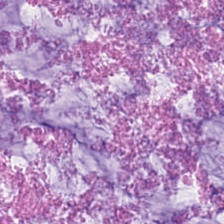Hematoxylin-and-eosin stained section — Q: Identify the tissue.
A: It is extracellular mucin.
